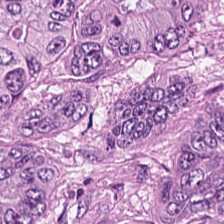Brightfield microscopy; H&E stain — The classification is adenocarcinoma.
